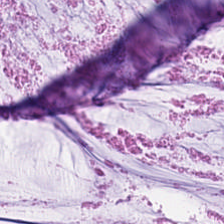Hematoxylin-and-eosin stained section. 224×224 px tile. FFPE tissue section — Showing extracellular mucin.
